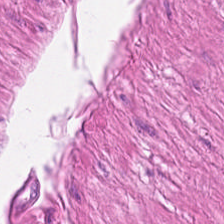The tissue here is muscularis.
